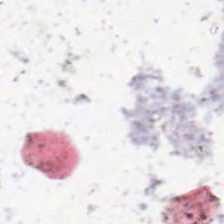Stain: hematoxylin and eosin.
Content: empty background.
